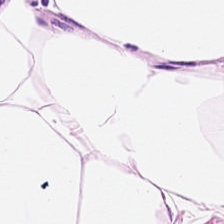Hematoxylin-and-eosin stained section. Tissue = adipose.
